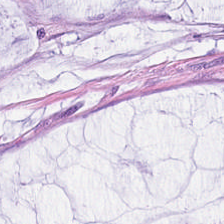Hematoxylin-and-eosin stained section.
Impression → mucus.
